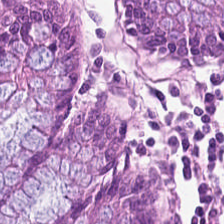FFPE. Hematoxylin-and-eosin stained section.
Classification — normal colonic mucosa.
